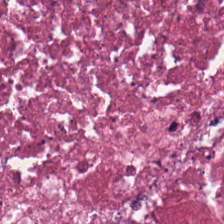WSI patch · 20× equivalent magnification · H&E-stained tissue section. Histology — cellular debris.
